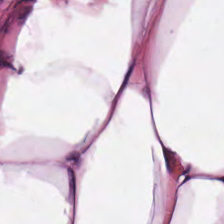Adipocytes.
